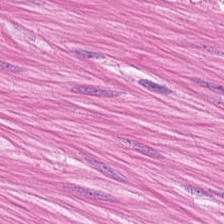224×224 px tile; brightfield; H&E stain — Predominantly smooth-muscle tissue.
